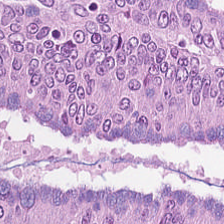Classification = malignant epithelium.
